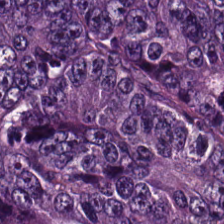Showing colorectal adenocarcinoma.
